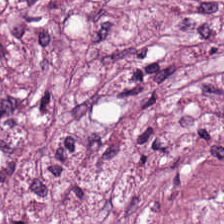H&E-stained tissue section showing cancer-associated stroma.
